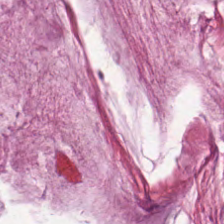Hematoxylin-and-eosin stained section.
The tissue here is extracellular mucin.
